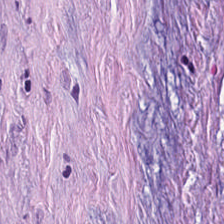Hematoxylin and eosin. The predominant tissue is cancer-associated stroma.
